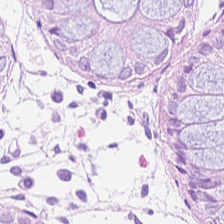Hematoxylin-and-eosin stained section — Predominantly normal colonic mucosa.
